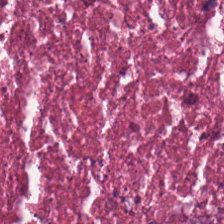Hematoxylin-and-eosin stained section — Q: Classify this patch.
A: Debris.
